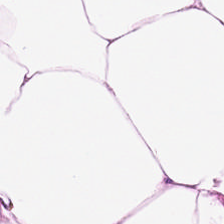Hematoxylin-and-eosin stained section. 0.5 µm per pixel.
{"tissue_type": "adipocytes"}
